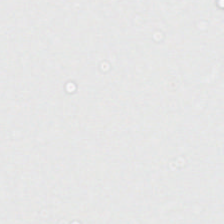224×224 px patch; H&E-stained tissue section. Classification — background.
